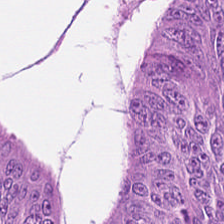H&E stain. Brightfield microscopy — Q: What is the predominant tissue type?
A: It is tumor epithelium.
